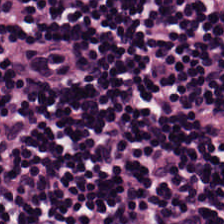Formalin-fixed paraffin-embedded section. H&E stain. Q: What tissue is shown?
A: It is lymphocytic infiltrate.
